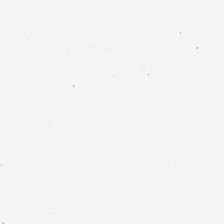H&E stain — No tissue present; background only.
